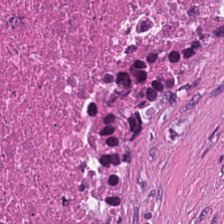FFPE tissue section; H&E stain; 0.5 µm per pixel. Q: What tissue is shown?
A: The field shows cellular debris.
